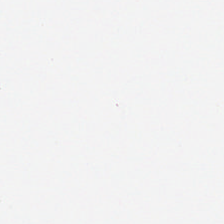0.5 microns per pixel · H&E. Empty field — background.
